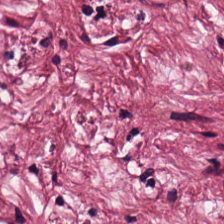H&E stain.
Finding → tumor stroma.
